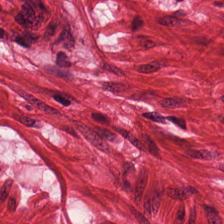WSI patch; H&E stain. Q: What tissue is shown?
A: This is muscularis.
